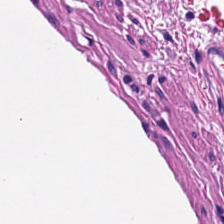H&E — muscularis.
